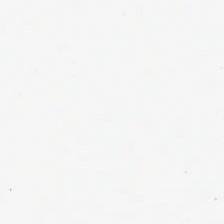No tissue.
